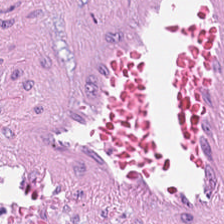H&E. 224×224 pixel tile. Q: Classify this patch.
A: Cancer-associated stroma.
